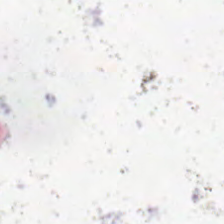H&E-stained tissue section.
This field is background (no tissue).
